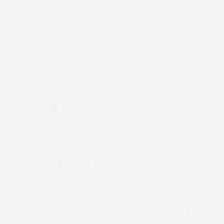Hematoxylin-and-eosin stained section.
This patch shows background.
